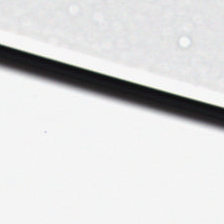H&E-stained tissue section — Classification — no tissue.
